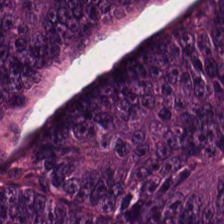H&E-stained tissue section. Predominantly colorectal adenocarcinoma epithelium.
